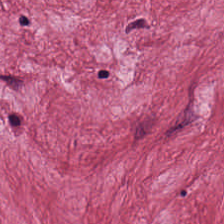Hematoxylin-and-eosin stained section. Tumor-associated stroma.
